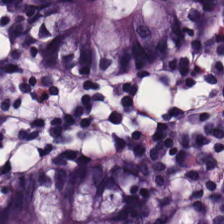H&E-stained tissue section. Tissue = normal colon mucosa.
